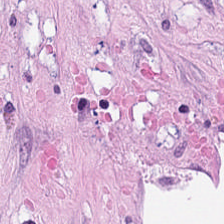H&E · 20× equivalent magnification — Predominantly desmoplastic stroma.
